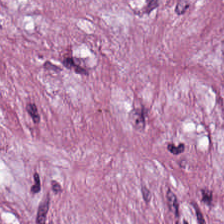Stain: H&E stain.
Classification: desmoplastic stroma.
